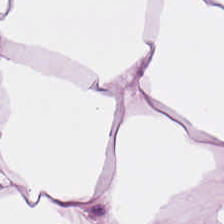Stain: H&E-stained tissue section.
Resolution: 0.5 microns per pixel.
Classification: fat tissue.
